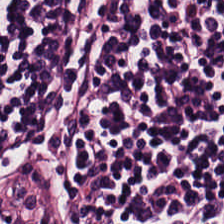Hematoxylin-and-eosin stained section. Q: What is the predominant tissue type?
A: It is lymphocytic infiltrate.
